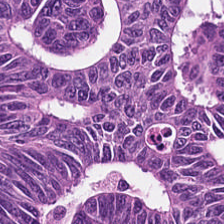Stain: hematoxylin and eosin.
Resolution: 20× equivalent magnification.
Tissue class: colorectal adenocarcinoma epithelium.
